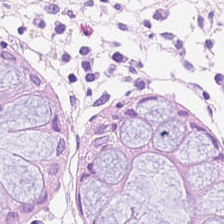Tissue = normal colonic mucosa.
